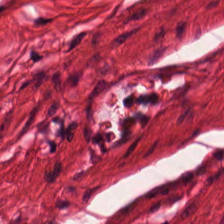H&E. Whole-slide-image patch. FFPE. Impression — muscularis.
